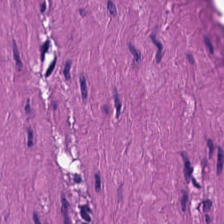Tissue — smooth-muscle tissue.
